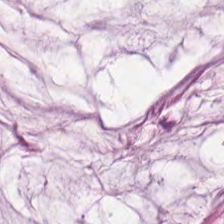20× equivalent magnification · H&E stain.
Predominant tissue — mucus.
